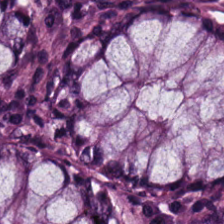224×224 px tile; brightfield; hematoxylin-and-eosin stained section — Q: What does this patch show?
A: The field shows benign colonic mucosa.
